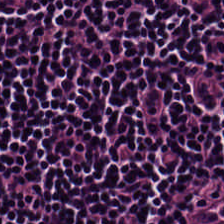H&E. Predominantly lymphoid infiltrate.
